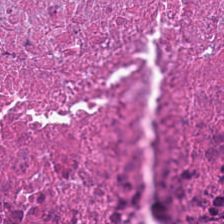H&E stain. Q: Identify the tissue.
A: It is cellular debris.
